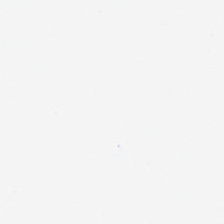Q: What does this patch show?
A: It is background.
